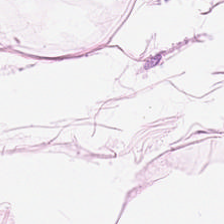Hematoxylin-and-eosin stained section; 224×224 pixel tile. The predominant tissue is adipose.
